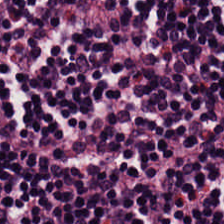{"tissue_type": "lymphoid infiltrate"}
